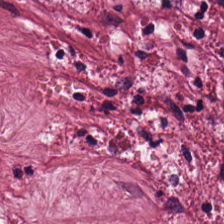20× equivalent magnification; hematoxylin and eosin. Predominant tissue = tumor stroma.
